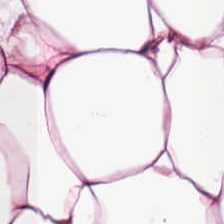0.5 µm per pixel; hematoxylin-and-eosin stained section. The tissue is adipocytes.
